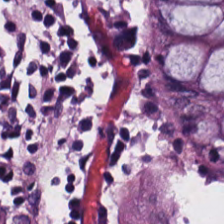Stain: hematoxylin-and-eosin stained section.
Tissue: normal colonic mucosa.
